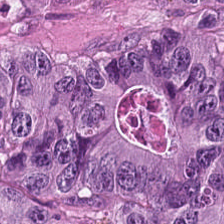Hematoxylin and eosin. Tissue type — colorectal adenocarcinoma.
